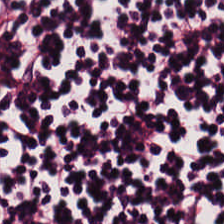Hematoxylin and eosin. Showing lymphocyte aggregate.
